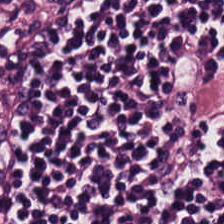{"tissue_type": "lymphocytic infiltrate"}
